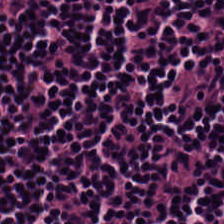FFPE tissue section; hematoxylin-and-eosin stained section; brightfield. Lymphocytic infiltrate.
